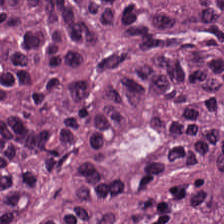H&E-stained tissue section — The tissue here is colorectal adenocarcinoma epithelium.
